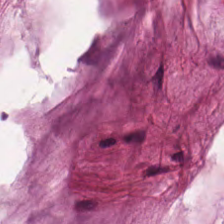Q: What is shown here?
A: It is extracellular mucin.
